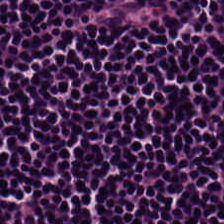Hematoxylin-and-eosin stained section · brightfield.
The tissue here is lymphocytic infiltrate.
